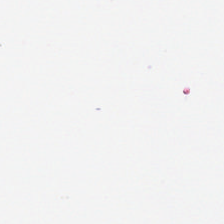H&E stain · 20× equivalent magnification. Background — no tissue in this field.
